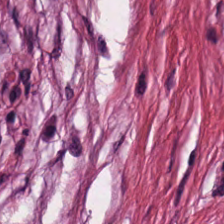H&E. Showing desmoplastic stroma.
